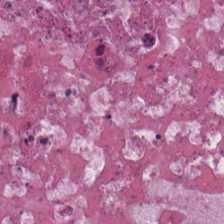H&E-stained tissue section showing necrotic debris.
